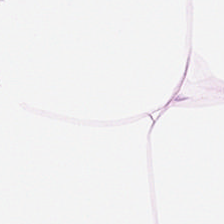Impression — adipose tissue.
